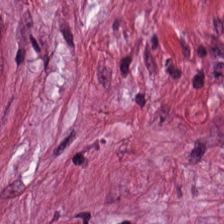Stain: H&E.
Acquisition: whole-slide-image patch.
Tissue type: tumor-associated stroma.
